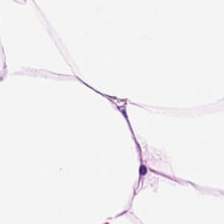{"tissue_type": "adipose tissue"}
